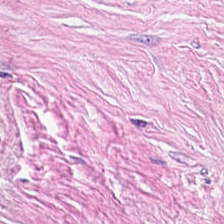Hematoxylin and eosin; 0.5 microns per pixel — This patch shows cancer-associated stroma.
